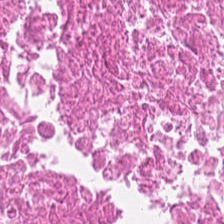H&E-stained tissue section.
The tissue class is cellular debris.
